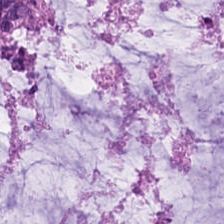H&E — Predominant tissue — extracellular mucin.
